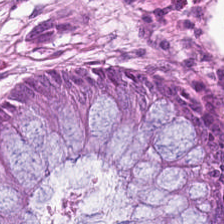Tissue class — non-neoplastic colon mucosa.
